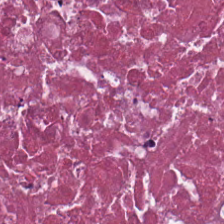Hematoxylin and eosin — This field is necrotic debris.
